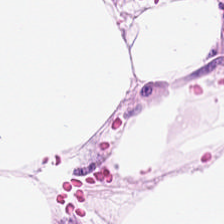Hematoxylin-and-eosin stained section. Finding → adipose tissue.
